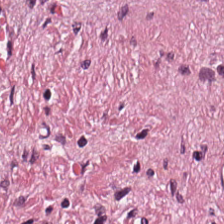Q: What does this patch show?
A: This is tumor stroma.
